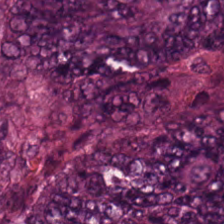H&E-stained tissue section.
{"tissue_type": "extracellular mucin"}
